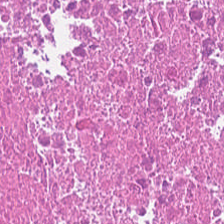Hematoxylin-and-eosin stained section.
Q: What is shown here?
A: It is necrotic debris.
